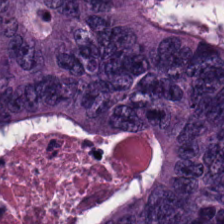Hematoxylin-and-eosin stained section. 0.5 microns per pixel — Finding → colorectal adenocarcinoma epithelium.
